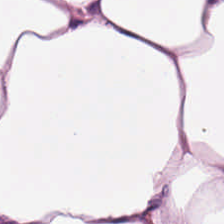FFPE tissue section · H&E · 20× equivalent magnification. Q: What type of tissue is this?
A: Adipose tissue.
